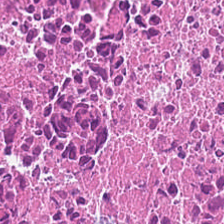{"tissue_type": "necrotic debris"}
